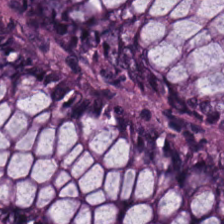Stain: hematoxylin and eosin.
Preparation: FFPE.
Tissue: normal colonic mucosa.
